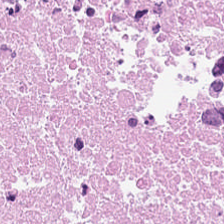WSI patch; hematoxylin and eosin. This field is necrotic debris.
